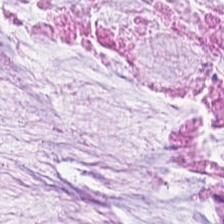Hematoxylin-and-eosin stained section · 224×224 px patch. Showing extracellular mucin.
